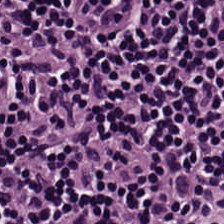H&E-stained tissue section.
Q: What is the predominant tissue type?
A: This is lymphocytic infiltrate.
